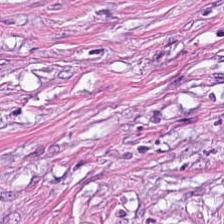Hematoxylin-and-eosin stained section; brightfield. Q: Classify this patch.
A: It is cancer-associated stroma.
